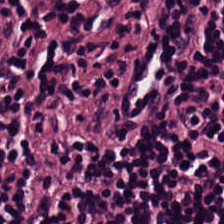H&E stain — Impression — lymphocyte aggregate.
